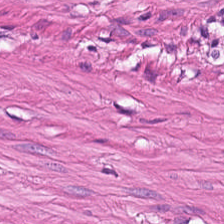Stain: H&E-stained tissue section.
Predominant tissue: smooth-muscle tissue.
